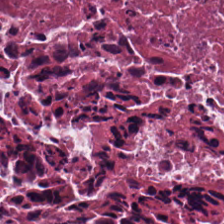H&E stain — {"tissue_type": "necrotic debris"}
